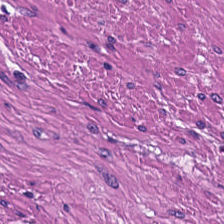Stain: H&E stain.
Classification: smooth-muscle tissue.
